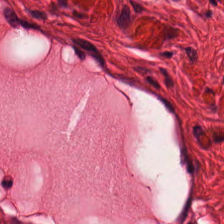The tissue class is smooth-muscle tissue.
